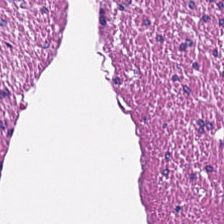Hematoxylin and eosin. The tissue here is smooth muscle.
